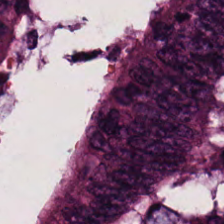Stain: hematoxylin-and-eosin stained section.
Classification: malignant epithelium.
